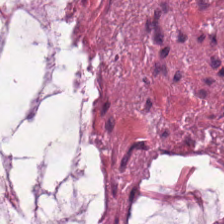224×224 px patch; H&E-stained tissue section; formalin-fixed paraffin-embedded section.
Tissue class = extracellular mucin.
